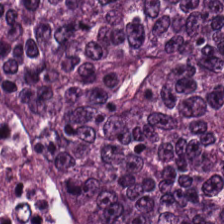Hematoxylin-and-eosin stained section. Whole-slide-image patch. 224×224 pixel tile. Q: What is the predominant tissue type?
A: This is colorectal adenocarcinoma epithelium.
